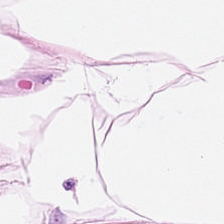Hematoxylin and eosin.
Adipose tissue.
